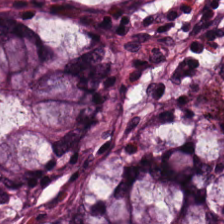Hematoxylin and eosin. Showing non-neoplastic colon mucosa.
